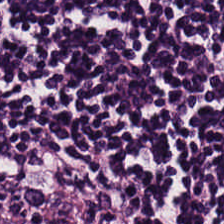224×224 px tile; H&E stain — Predominantly lymphocytic infiltrate.
